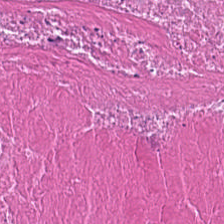Hematoxylin-and-eosin stained section; formalin-fixed paraffin-embedded section. This field is necrotic debris.
